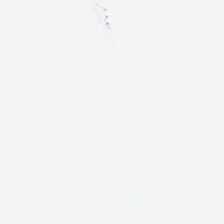Hematoxylin and eosin. 0.5 µm/px.
{"content": "no tissue"}
